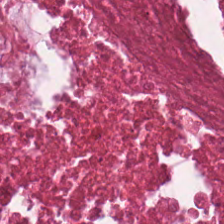The tissue here is debris.
